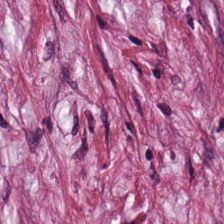Hematoxylin and eosin. The tissue type is cancer-associated stroma.
